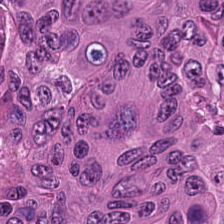224×224 pixel tile. Hematoxylin and eosin — Colorectal adenocarcinoma epithelium.
